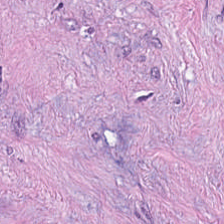The tissue here is cancer-associated stroma.
